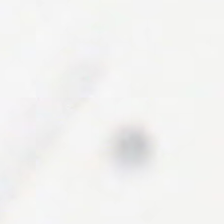H&E; 224×224 px tile. Content — empty background.
